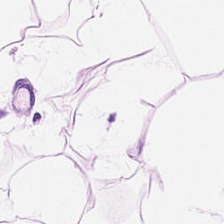H&E patch showing adipose tissue.
